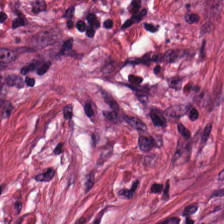H&E stain. This patch shows desmoplastic stroma.
